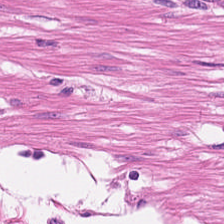Hematoxylin-and-eosin stained section.
Tissue: smooth-muscle tissue.
